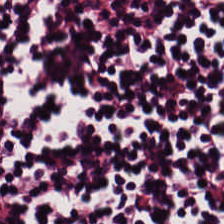H&E-stained tissue section showing lymphocyte aggregate.
